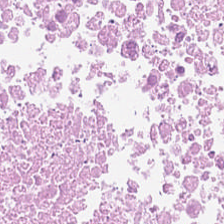H&E stain. Q: What tissue is shown?
A: The field shows debris.
